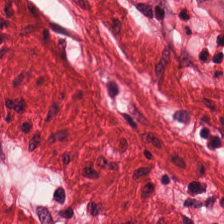Hematoxylin and eosin — Showing smooth muscle.
